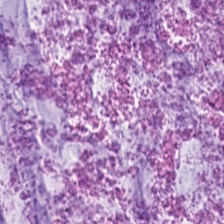WSI patch · hematoxylin-and-eosin stained section. The tissue here is mucus.
